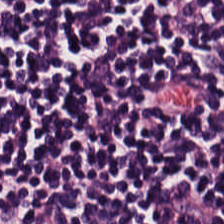FFPE; hematoxylin-and-eosin stained section — Impression → lymphocytes.
